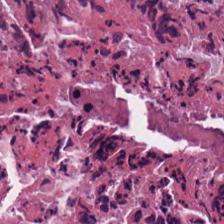Whole-slide-image patch. 224×224 px patch. Hematoxylin-and-eosin stained section — Debris.
